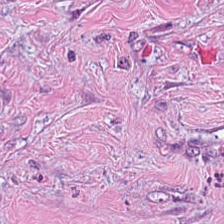FFPE; H&E stain.
Impression → desmoplastic stroma.
